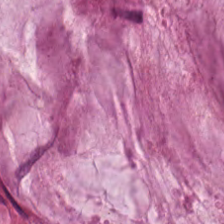H&E. The predominant tissue is extracellular mucin.
